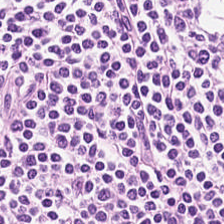WSI patch. H&E stain.
Predominantly lymphocytic infiltrate.
